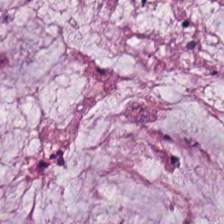WSI patch. H&E stain. 224×224 px tile.
The tissue here is extracellular mucin.
